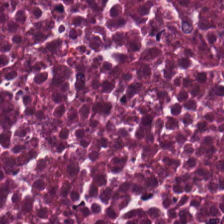H&E stain. Q: What is the predominant tissue type?
A: Necrotic debris.
